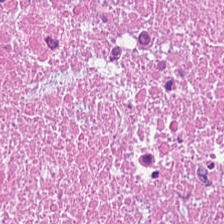Hematoxylin and eosin · 224×224 px tile. This patch shows cellular debris.
